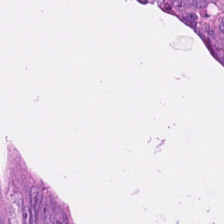224×224 px patch; hematoxylin-and-eosin stained section; brightfield microscopy — Tissue class = colorectal adenocarcinoma epithelium.
